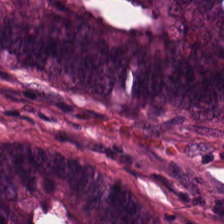Histology → tumor epithelium.
